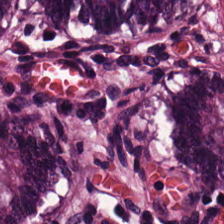Tissue class — benign colonic mucosa.
